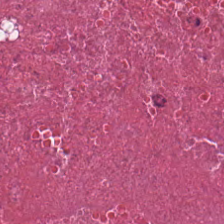H&E. Necrotic debris.
